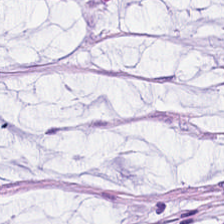H&E-stained tissue section.
Tissue type: mucus.
